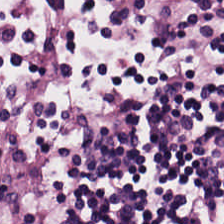Stain: hematoxylin and eosin.
Tile size: 224×224 px patch.
Resolution: 0.5 microns per pixel.
Tissue type: lymphocyte aggregate.
